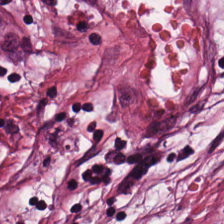0.5 µm/px · H&E stain · 224×224 px patch.
Classification = cancer-associated stroma.
